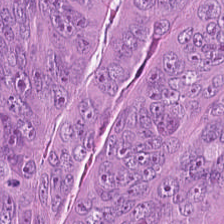H&E. 0.5 microns per pixel. 224×224 px tile. The tissue here is colorectal adenocarcinoma.
